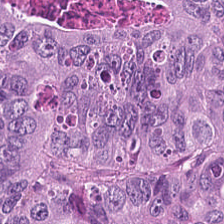Hematoxylin-and-eosin stained section. Predominant tissue = colorectal adenocarcinoma.
